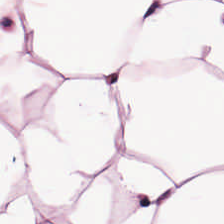Tissue type — fat tissue.
